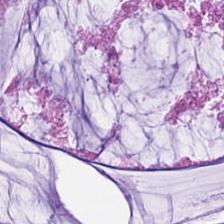Hematoxylin and eosin.
Showing mucin.
